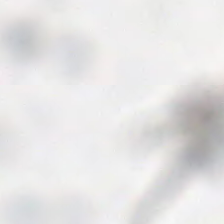Stain: hematoxylin-and-eosin stained section.
Classification: empty background.
